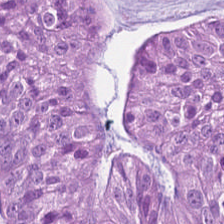H&E. Formalin-fixed paraffin-embedded section. Tissue = colorectal adenocarcinoma.
